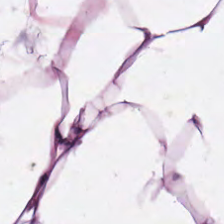0.5 µm per pixel · H&E-stained tissue section.
Predominantly adipose.
